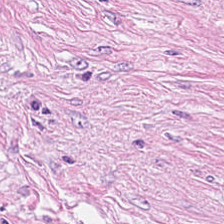Stain: hematoxylin-and-eosin stained section.
Tissue class: tumor-associated stroma.
